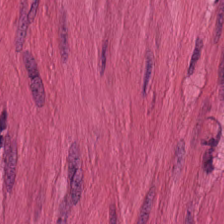Stain: H&E-stained tissue section.
Tissue class: smooth muscle.
